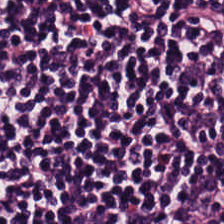Hematoxylin and eosin — This patch shows lymphocyte aggregate.
